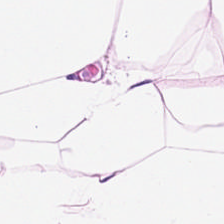H&E-stained tissue section. Q: What is shown here?
A: Fat tissue.
